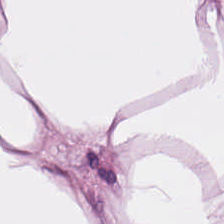Q: What type of tissue is this?
A: The field shows adipocytes.
